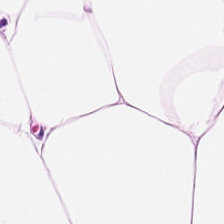0.5 µm/px · H&E. This field is adipose tissue.
